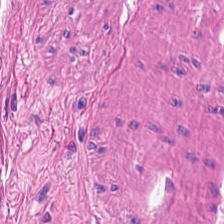H&E. This field is smooth muscle.
